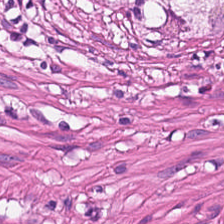H&E-stained tissue section. Predominantly smooth-muscle tissue.
